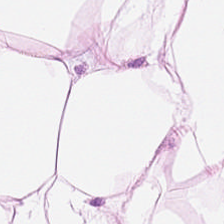Q: What tissue type is shown here?
A: This is adipose tissue.
